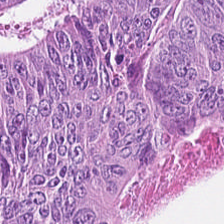H&E-stained tissue section — The predominant tissue is colorectal adenocarcinoma.
